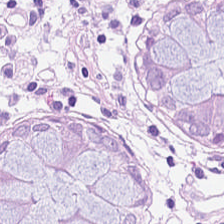H&E stain. 224×224 pixel tile. 0.5 microns per pixel. Histology → normal colon mucosa.
